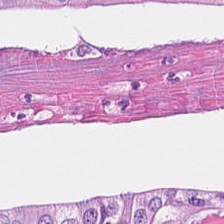20× equivalent magnification; 224×224 pixel tile; H&E-stained tissue section. This field is adenocarcinoma.
